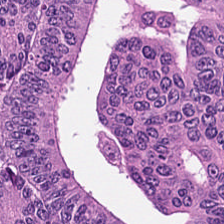Hematoxylin and eosin; 0.5 µm per pixel — The predominant tissue is malignant epithelium.
